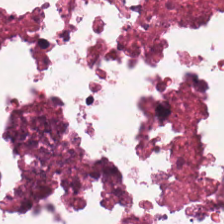224×224 pixel tile. Formalin-fixed paraffin-embedded section. Hematoxylin-and-eosin stained section — The predominant tissue is necrotic debris.
